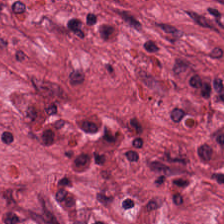Stain: H&E stain.
Tissue class: cancer-associated stroma.
